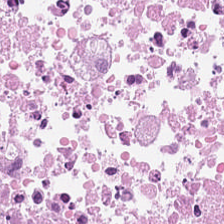Hematoxylin and eosin · 224×224 pixel tile.
Q: What type of tissue is this?
A: Necrotic debris.
